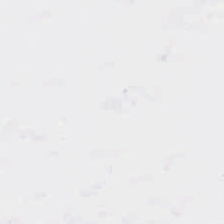Brightfield · 224×224 px patch · H&E — The content is no tissue.
